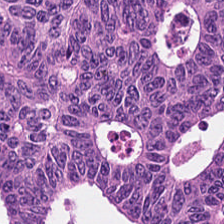Hematoxylin and eosin; brightfield microscopy; FFPE — Q: What tissue type is shown here?
A: This is tumor epithelium.
